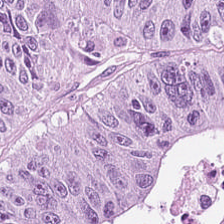H&E-stained tissue section. This field is adenocarcinoma.
